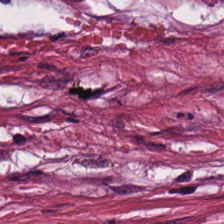H&E — The classification is cancer-associated stroma.
